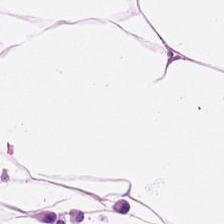H&E-stained tissue section. Q: What tissue is shown?
A: It is adipocytes.
